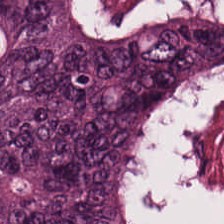H&E-stained tissue section · 224×224 px patch.
Q: What tissue is shown?
A: It is colorectal adenocarcinoma epithelium.
